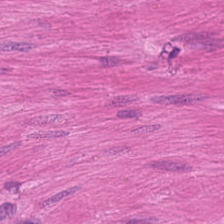0.5 microns per pixel. H&E-stained tissue section — Histology → smooth-muscle tissue.
